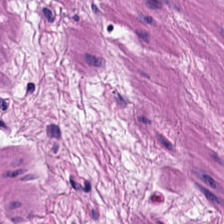Hematoxylin-and-eosin stained section.
The classification is smooth-muscle tissue.
